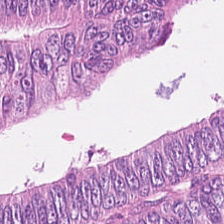H&E stain. Histology → malignant epithelium.
